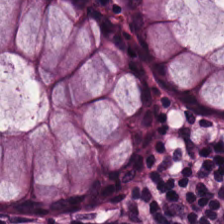Stain: H&E-stained tissue section.
Tile size: 224×224 px patch.
Predominant tissue: normal colon mucosa.
